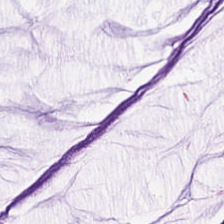Showing extracellular mucin.
